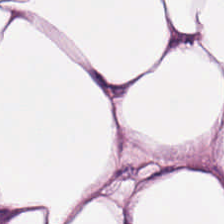H&E-stained tissue section; 224×224 px patch — This patch shows adipocytes.
